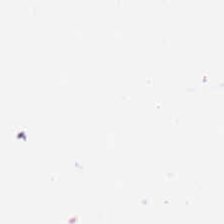224×224 px patch. 0.5 µm/px. Hematoxylin-and-eosin stained section — No tissue present; background only.
